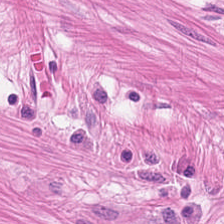Hematoxylin and eosin. Predominant tissue: smooth-muscle tissue.
